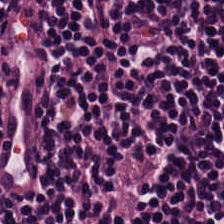This field is lymphocytes.
